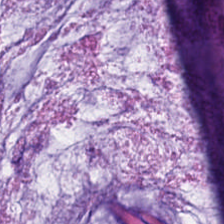H&E. Tissue class: mucus.
